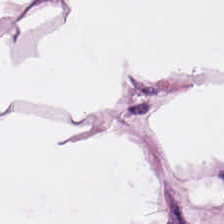H&E patch showing adipocytes.
